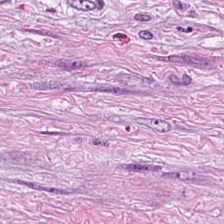Hematoxylin and eosin. Predominantly tumor-associated stroma.
